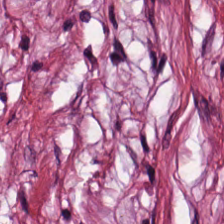Q: Classify this patch.
A: It is tumor-associated stroma.
